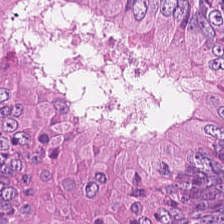Hematoxylin-and-eosin stained section.
{"tissue_type": "tumor epithelium"}
